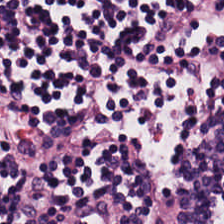224×224 px tile; 0.5 microns per pixel; H&E-stained tissue section.
{"tissue_type": "lymphocytic infiltrate"}
